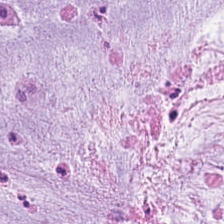20× equivalent magnification. Brightfield microscopy. H&E stain.
The classification is mucus.
